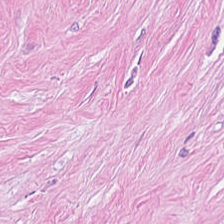H&E stain.
Tissue class: tumor-associated stroma.
